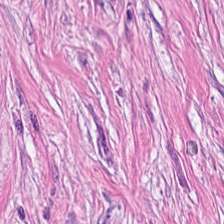Hematoxylin and eosin — The predominant tissue is desmoplastic stroma.
